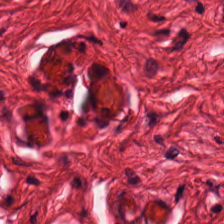H&E-stained tissue section; WSI patch. Predominantly smooth muscle.
